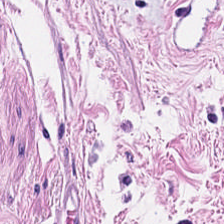H&E. Showing muscularis.
